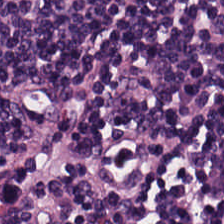H&E stain; FFPE.
Impression → lymphoid infiltrate.
